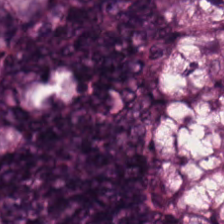H&E stain · FFPE — The tissue here is adenocarcinoma.
